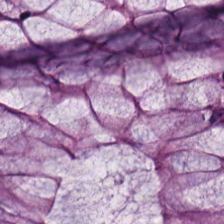Stain: H&E stain.
Preparation: FFPE.
Tissue: normal colonic mucosa.
